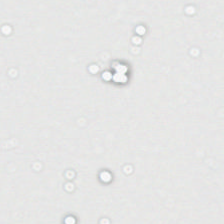H&E. 224×224 px tile. Brightfield microscopy. Q: What is shown in this field?
A: The field shows background.
